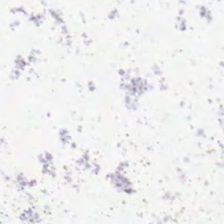H&E-stained tissue section.
This field is background (no tissue).
